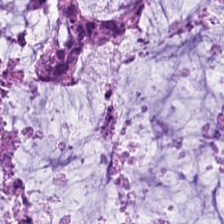Hematoxylin-and-eosin stained section. This patch shows extracellular mucin.
